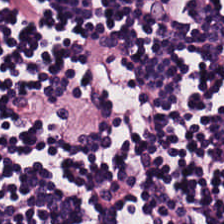Hematoxylin and eosin.
Lymphoid infiltrate.
